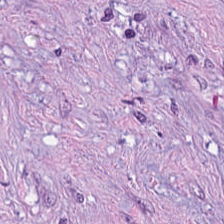H&E stain — Predominant tissue: tumor-associated stroma.
